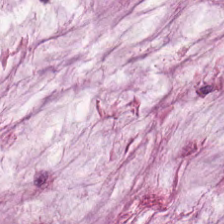Predominantly mucus.
